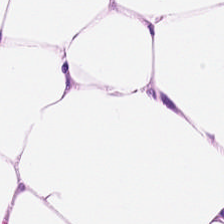Tissue type = adipose.
